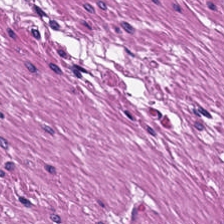H&E-stained tissue section — Q: What does this patch show?
A: It is smooth-muscle tissue.
